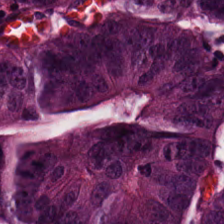The tissue here is malignant epithelium.
